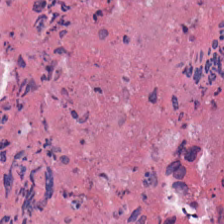Tissue class = cellular debris.
